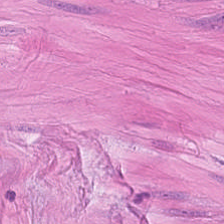H&E stain — Q: What tissue is shown?
A: Smooth-muscle tissue.
